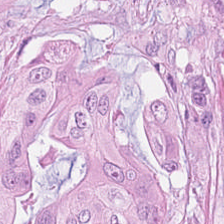The tissue type is colorectal adenocarcinoma epithelium.
